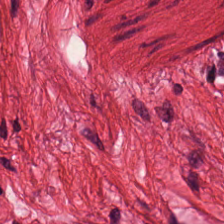FFPE; H&E — Q: What tissue is shown?
A: This is smooth muscle.
